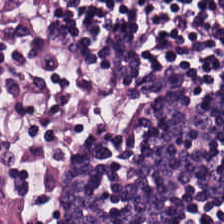H&E — Q: Identify the tissue.
A: Lymphocytic infiltrate.
